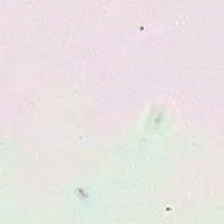224×224 pixel tile · 0.5 microns per pixel · H&E stain.
Content — empty background.
